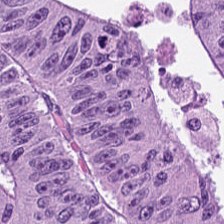FFPE tissue section · H&E-stained tissue section · 224×224 px tile.
The tissue here is colorectal adenocarcinoma.
